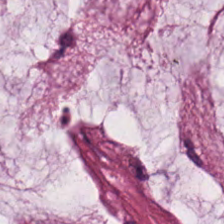Formalin-fixed paraffin-embedded section · H&E · WSI patch — Mucin.
